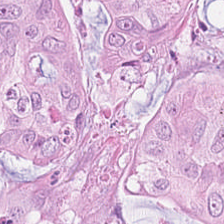H&E patch showing adenocarcinoma.
